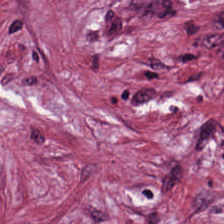Q: What is shown in this field?
A: It is tumor-associated stroma.
